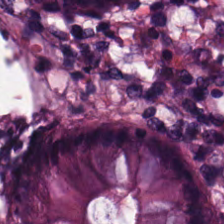Hematoxylin-and-eosin stained section. Classification = normal colonic mucosa.
